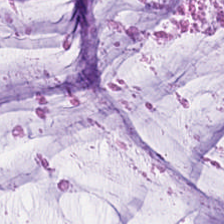Hematoxylin and eosin — The tissue here is mucin.
